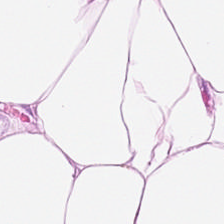20× equivalent magnification · H&E-stained tissue section · 224×224 px tile.
Q: What type of tissue is this?
A: This is adipose tissue.
